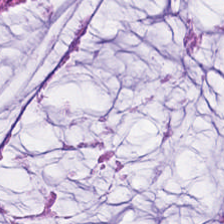Stain: H&E-stained tissue section.
Predominant tissue: mucin.
